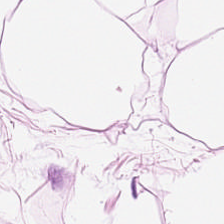Stain: H&E-stained tissue section.
Classification: adipocytes.
